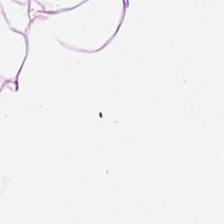{"tissue_type": "adipocytes"}
